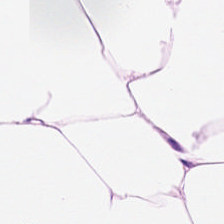Q: What is shown here?
A: This is adipocytes.
